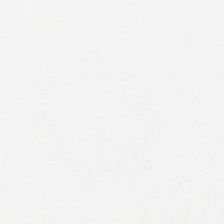Classification = background.
